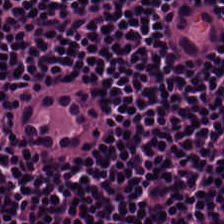The tissue type is lymphocyte aggregate.
